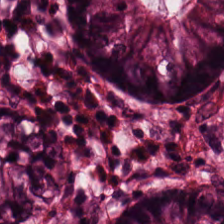Hematoxylin-and-eosin stained section. Tissue — benign colonic mucosa.
